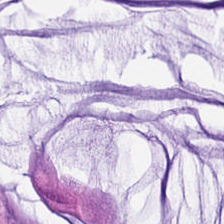H&E. Mucus.
